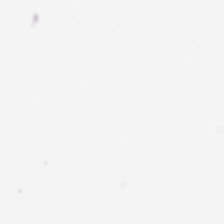Content = empty background.
